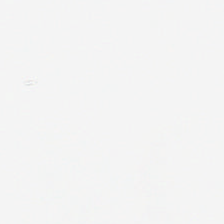Field content — no tissue.
